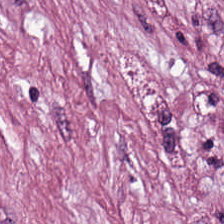Hematoxylin and eosin. 224×224 px tile.
Q: What is shown here?
A: Tumor-associated stroma.
